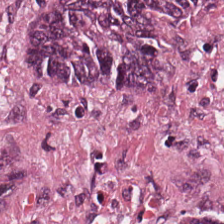Showing colorectal adenocarcinoma epithelium.
